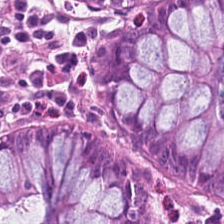This field is normal colon mucosa.
